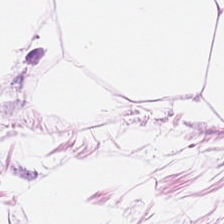Impression → adipocytes.
